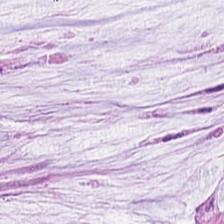Showing mucus.
